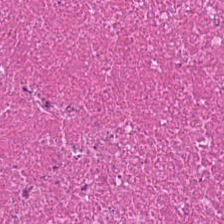H&E. Predominantly debris.
